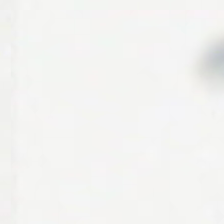Content: no tissue.
